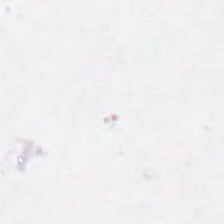Content = background (no tissue).
